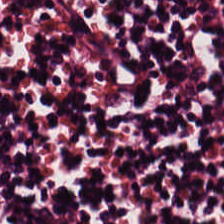Hematoxylin-and-eosin stained section. Impression — lymphoid infiltrate.
